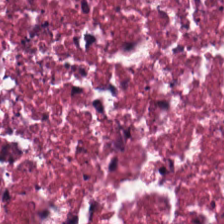Tissue type = cellular debris.
